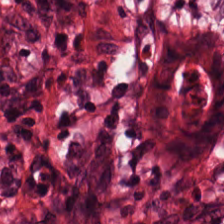Stain: hematoxylin and eosin.
Tissue: tumor-associated stroma.
